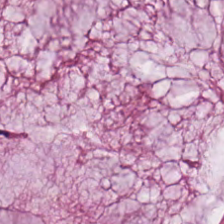The tissue is mucin.
